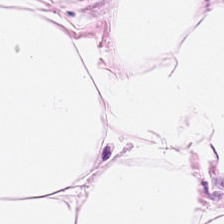Hematoxylin-and-eosin stained section.
Q: Identify the tissue.
A: It is adipose tissue.
